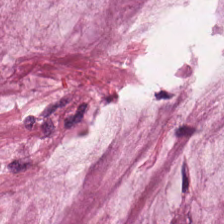Whole-slide-image patch; H&E-stained tissue section; 0.5 µm/px. Q: What is shown in this field?
A: This is mucus.
